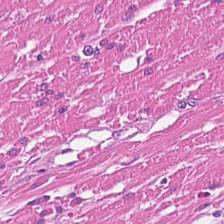H&E. Predominantly smooth muscle.
